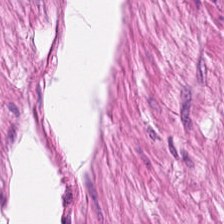H&E stain. Histology — muscularis.
